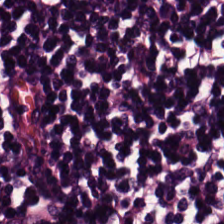Stain: hematoxylin-and-eosin stained section.
Predominant tissue: lymphoid infiltrate.
